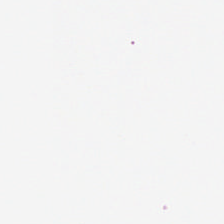Hematoxylin-and-eosin stained section — The field content is background (no tissue).
